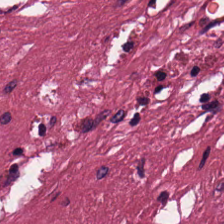FFPE. H&E. The tissue here is desmoplastic stroma.
